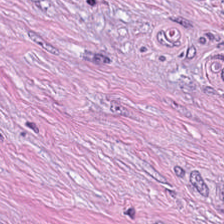Tissue — tumor stroma.
